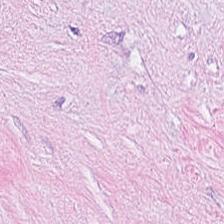Stain: H&E.
Preparation: FFPE.
Acquisition: brightfield microscopy.
Tissue class: cancer-associated stroma.
